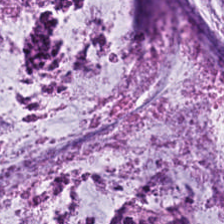H&E stain. Brightfield — Showing extracellular mucin.
